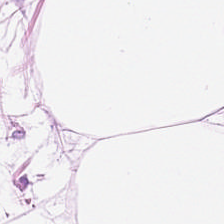H&E.
Tissue class = adipose.
